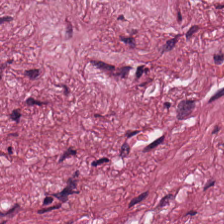H&E-stained tissue section; WSI patch; FFPE tissue section — Cancer-associated stroma.
